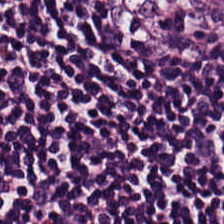H&E stain. Predominant tissue = lymphoid infiltrate.
